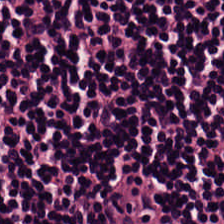H&E.
Showing lymphocyte aggregate.
